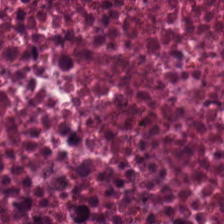H&E. 224×224 pixel tile. {"tissue_type": "necrotic debris"}
